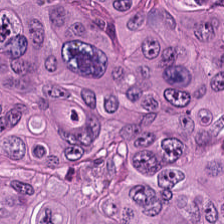Q: What type of tissue is this?
A: Malignant epithelium.
